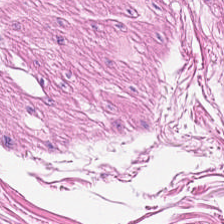Hematoxylin-and-eosin stained section — Finding — smooth-muscle tissue.
